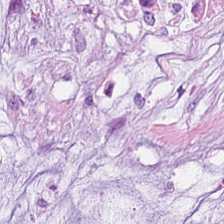Predominantly mucus.
